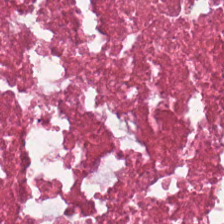Stain: H&E.
Tile size: 224×224 px patch.
Acquisition: brightfield microscopy.
Predominant tissue: cellular debris.
